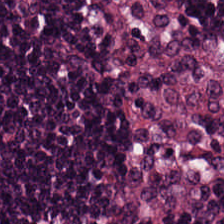Hematoxylin-and-eosin stained section; 224×224 px tile; formalin-fixed paraffin-embedded section — This patch shows lymphocyte aggregate.
